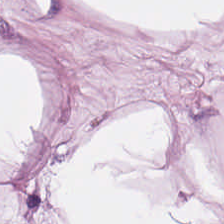H&E stain. 0.5 microns per pixel. FFPE tissue section. Predominantly fat tissue.
